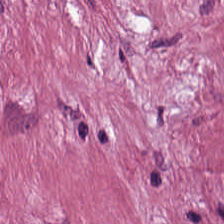H&E.
Desmoplastic stroma.
